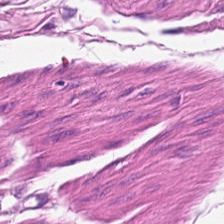H&E-stained tissue section — The predominant tissue is muscularis.
